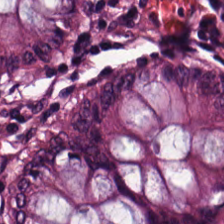Impression → normal colonic mucosa.
